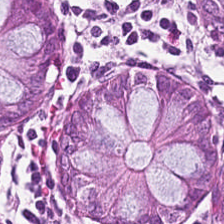Benign colonic mucosa.
